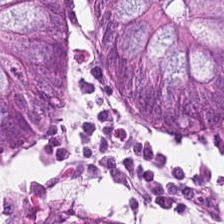H&E-stained tissue section.
Showing normal colonic mucosa.
